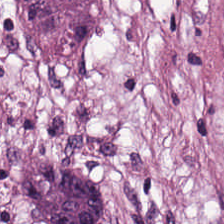H&E stain — This field is tumor-associated stroma.
